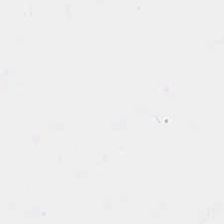Field content = empty background.
